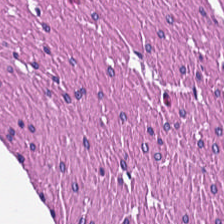Hematoxylin and eosin.
The tissue type is muscularis.
